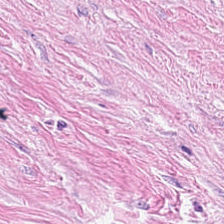H&E stain. The classification is desmoplastic stroma.
